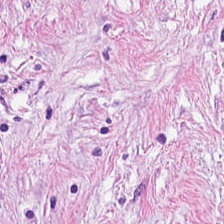H&E-stained tissue section · brightfield microscopy · 224×224 px patch — Predominantly tumor-associated stroma.
